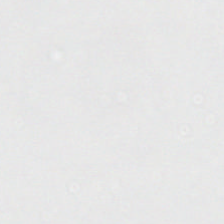Stain: hematoxylin-and-eosin stained section.
Preparation: FFPE tissue section.
Content: empty background.
